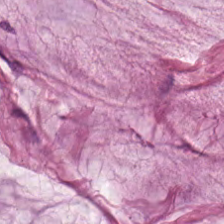Stain: hematoxylin and eosin.
Tissue: extracellular mucin.
